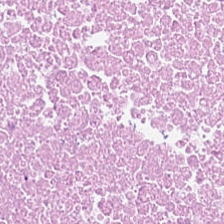Stain: H&E-stained tissue section.
Predominant tissue: debris.
